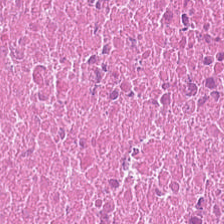Brightfield microscopy · H&E stain.
Impression → necrotic debris.
